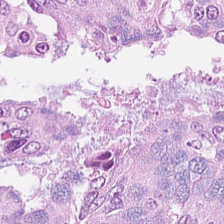Stain: H&E-stained tissue section.
Tissue class: tumor epithelium.
